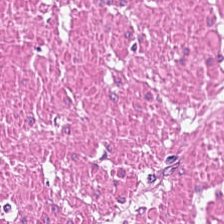Tissue class: muscularis.
